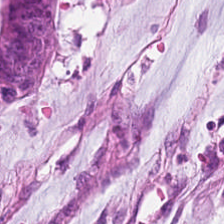Hematoxylin and eosin.
Predominantly extracellular mucin.
